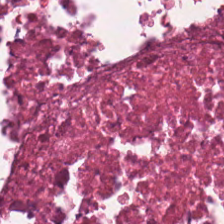Hematoxylin and eosin. Necrotic debris.
